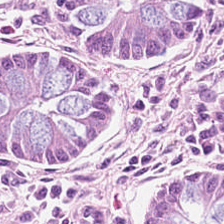H&E-stained tissue section.
Impression — normal colon mucosa.
